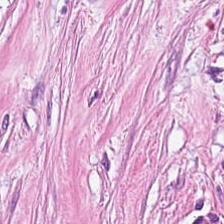0.5 microns per pixel; FFPE tissue section; H&E-stained tissue section — Impression → desmoplastic stroma.
